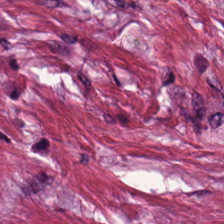Histology → cancer-associated stroma.
